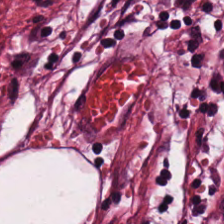Brightfield microscopy. 224×224 px patch. Hematoxylin-and-eosin stained section — Q: Identify the tissue.
A: It is tumor-associated stroma.
